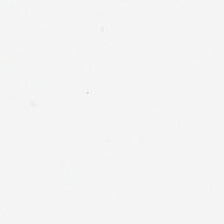H&E stain. Background — no tissue in this field.
